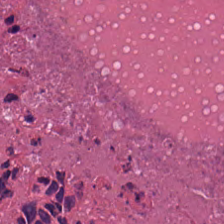H&E stain — Cellular debris.
